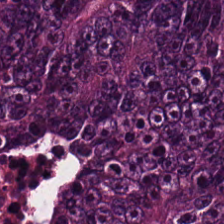H&E stain.
This patch shows colorectal adenocarcinoma epithelium.
